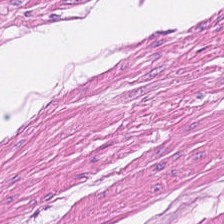Histology → smooth-muscle tissue.
